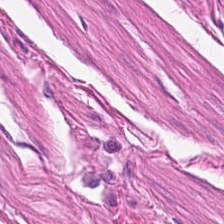Classification — smooth-muscle tissue.
